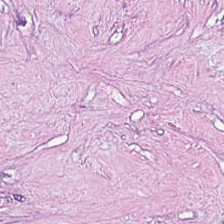Hematoxylin-and-eosin stained section. FFPE tissue section. The tissue type is cellular debris.
